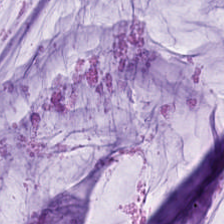224×224 px tile · H&E.
The tissue is mucus.
